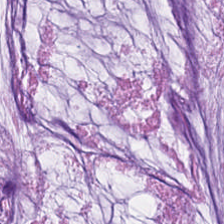Tissue — extracellular mucin.
